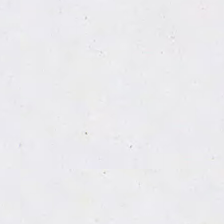Formalin-fixed paraffin-embedded section; hematoxylin-and-eosin stained section — This field is background (no tissue).
